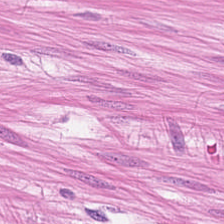Q: What tissue is shown?
A: It is smooth muscle.
